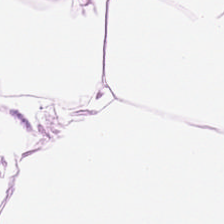Hematoxylin and eosin.
This patch shows adipose tissue.
